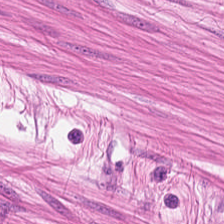This patch shows smooth-muscle tissue.
